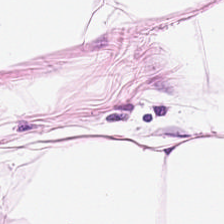H&E stain. Impression — adipose tissue.
